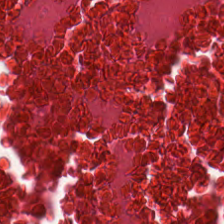H&E-stained section; the field shows necrotic debris.
